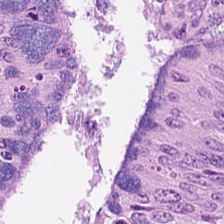0.5 µm/px. H&E-stained tissue section.
This field is tumor epithelium.
